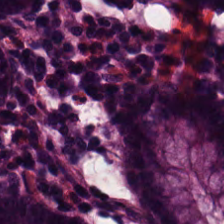Hematoxylin-and-eosin stained section · formalin-fixed paraffin-embedded section. Q: What is the predominant tissue type?
A: It is normal colonic mucosa.
